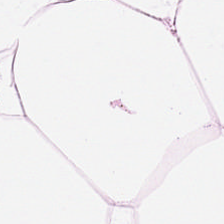0.5 µm/px; hematoxylin-and-eosin stained section.
The tissue here is adipose.
